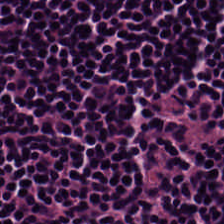Predominantly lymphocytic infiltrate.
